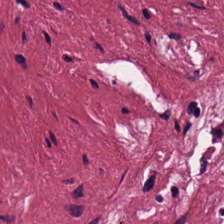Hematoxylin and eosin — Q: What does this patch show?
A: This is desmoplastic stroma.
